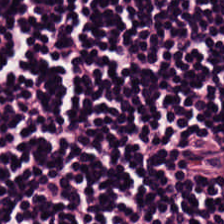H&E-stained tissue section — Histology — lymphocytic infiltrate.
